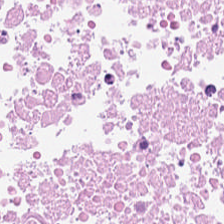H&E. 224×224 pixel tile — This patch shows necrotic debris.
